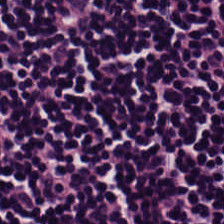Q: What does this patch show?
A: This is lymphoid infiltrate.
